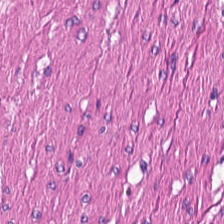Smooth-muscle tissue.
